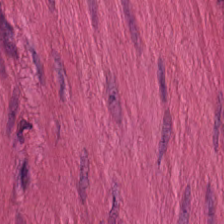Hematoxylin and eosin. FFPE tissue section.
This field is smooth muscle.
